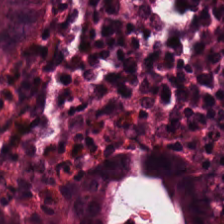H&E.
Q: What tissue type is shown here?
A: This is non-neoplastic colon mucosa.
